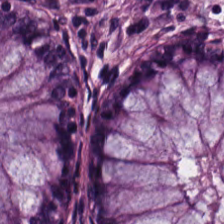H&E · 0.5 µm per pixel · 224×224 px tile.
Q: What tissue type is shown here?
A: The field shows normal colonic mucosa.
